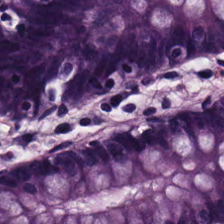The predominant tissue is non-neoplastic colon mucosa.
